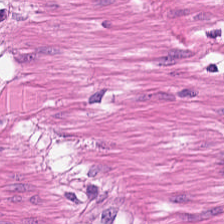H&E.
Q: Identify the tissue.
A: The field shows muscularis.
